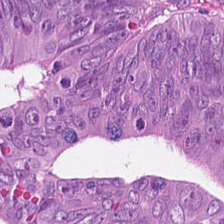Hematoxylin-and-eosin stained section — This field is adenocarcinoma.
